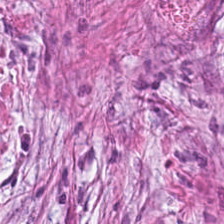H&E-stained tissue section. 224×224 pixel tile — Finding — tumor stroma.
